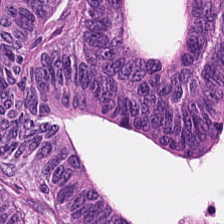Whole-slide-image patch; hematoxylin-and-eosin stained section — Tissue: malignant epithelium.
